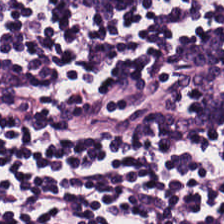H&E stain — The predominant tissue is lymphocytes.
